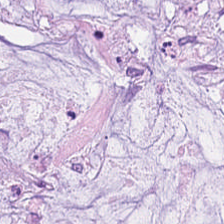0.5 µm/px. 224×224 pixel tile. Hematoxylin and eosin — This patch shows mucus.
